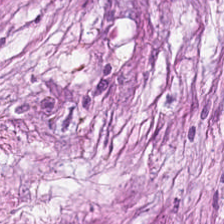H&E-stained tissue section — The tissue type is tumor stroma.
